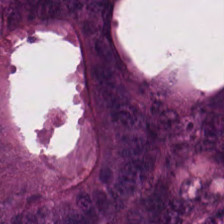The predominant tissue is colorectal adenocarcinoma epithelium.
